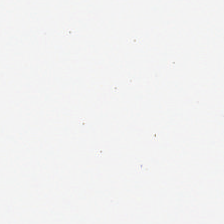FFPE tissue section; hematoxylin and eosin. Classification — background (no tissue).
